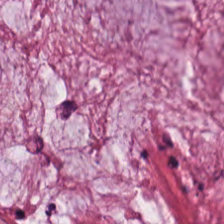H&E stain · 0.5 µm/px — This patch shows mucin.
